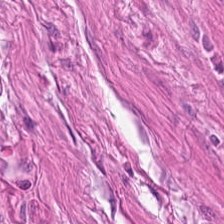Impression — muscularis.
